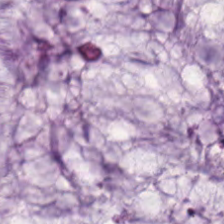Q: What type of tissue is this?
A: Mucus.
